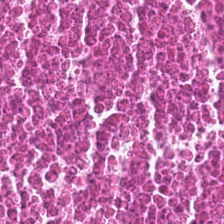H&E patch showing cellular debris.
